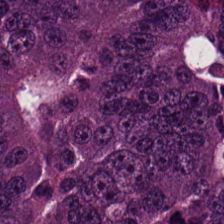FFPE tissue section; hematoxylin and eosin. Tissue class — tumor epithelium.
